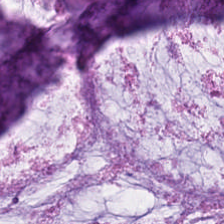Stain: H&E-stained tissue section.
Tissue type: extracellular mucin.
